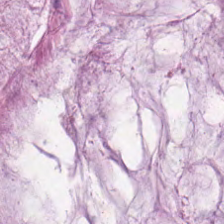H&E-stained tissue section — Showing mucus.
